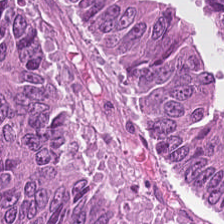H&E — Q: What is the predominant tissue type?
A: It is tumor epithelium.
